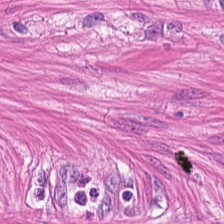Brightfield · hematoxylin-and-eosin stained section. Impression — muscularis.
